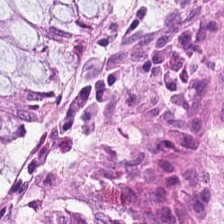Hematoxylin and eosin. The tissue here is normal colonic mucosa.
